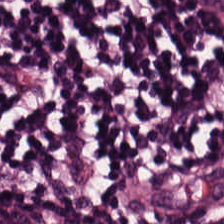224×224 px patch · hematoxylin-and-eosin stained section. Histology — lymphocytic infiltrate.
